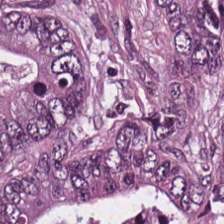H&E.
Predominantly tumor epithelium.
